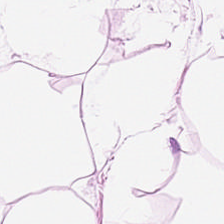WSI patch. Hematoxylin and eosin. {"tissue_type": "adipose tissue"}
